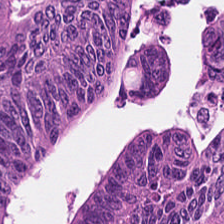H&E stain. Q: Identify the tissue.
A: Colorectal adenocarcinoma.
